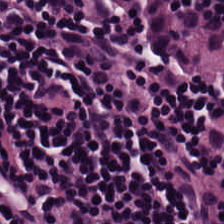Tissue type: lymphoid infiltrate.
